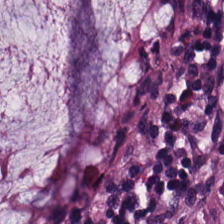Finding — non-neoplastic colon mucosa.
